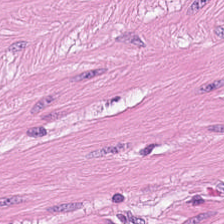H&E-stained tissue section.
Finding — smooth-muscle tissue.
